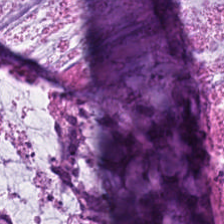0.5 microns per pixel · H&E · whole-slide-image patch.
{"tissue_type": "mucus"}
